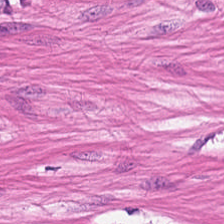Hematoxylin and eosin — Q: What tissue type is shown here?
A: The field shows smooth muscle.
